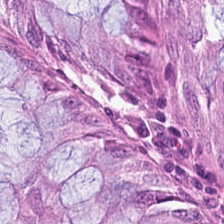H&E stain.
{"tissue_type": "normal colon mucosa"}
